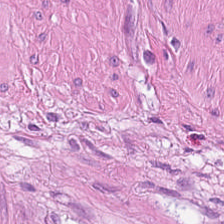H&E stain. Showing smooth-muscle tissue.
